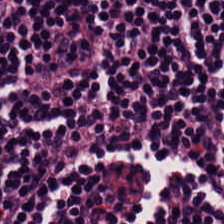H&E stain.
The tissue here is lymphocytes.
